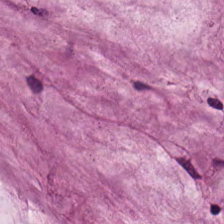Finding — mucin.
